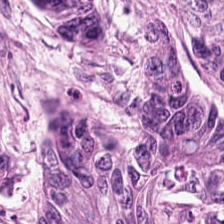Brightfield · H&E-stained tissue section — Classification = malignant epithelium.
